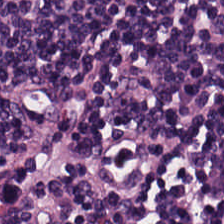Showing lymphocytic infiltrate.
